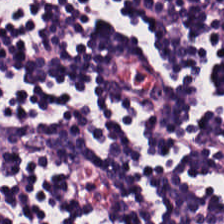0.5 µm per pixel; H&E-stained tissue section. This patch shows lymphocytes.
